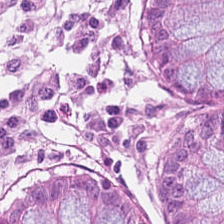Hematoxylin and eosin. This field is benign colonic mucosa.
